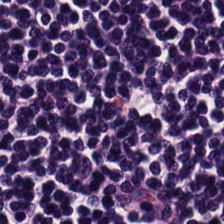H&E stain. Q: What is shown here?
A: Lymphoid infiltrate.
